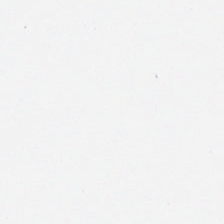Hematoxylin and eosin · 0.5 microns per pixel.
Background.
